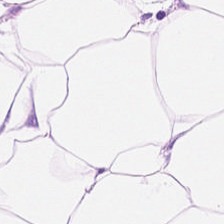Stain: H&E stain.
Acquisition: whole-slide-image patch.
Tile size: 224×224 px tile.
Tissue class: adipose.
